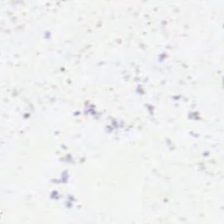Q: What is shown in this field?
A: Empty background.
